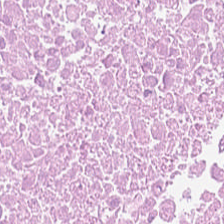Hematoxylin-and-eosin stained section · 224×224 px tile · FFPE tissue section.
Impression — debris.
